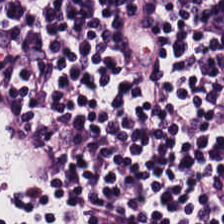Brightfield; H&E; 224×224 pixel tile.
This patch shows lymphocyte aggregate.
